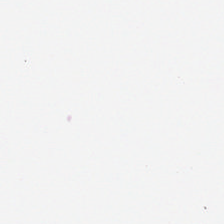FFPE tissue section. WSI patch. Hematoxylin and eosin. Q: What is shown in this field?
A: It is background.
